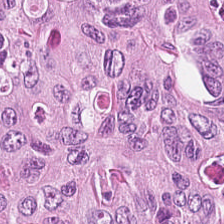Classification = adenocarcinoma.
